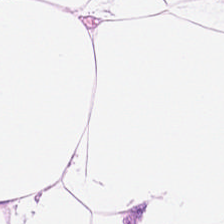H&E · 224×224 pixel tile. This field is adipose.
